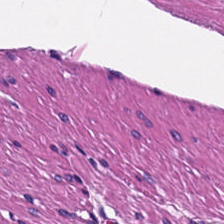H&E stain · 0.5 µm/px · WSI patch — Classification = muscularis.
